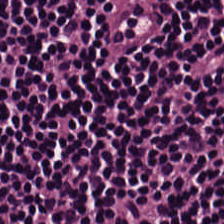H&E-stained tissue section showing lymphocytes.
